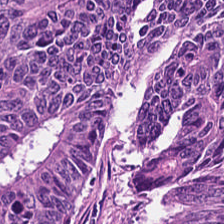H&E-stained tissue section. Whole-slide-image patch.
Impression — colorectal adenocarcinoma epithelium.
